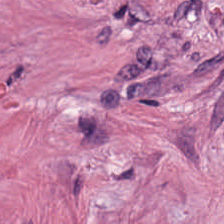This patch shows cancer-associated stroma.
